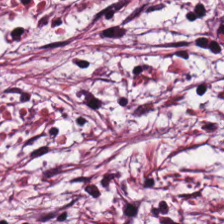H&E-stained tissue section. FFPE tissue section — Histology — tumor stroma.
